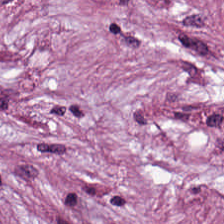Hematoxylin and eosin.
The tissue here is cancer-associated stroma.
